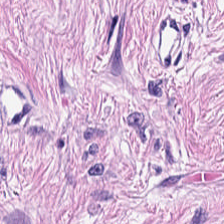Hematoxylin and eosin · 224×224 pixel tile · formalin-fixed paraffin-embedded section. Predominantly tumor stroma.
